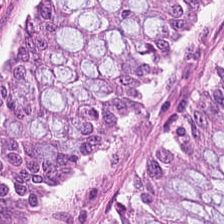Classification = non-neoplastic colon mucosa.
